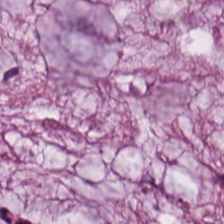H&E stain.
This field is extracellular mucin.
